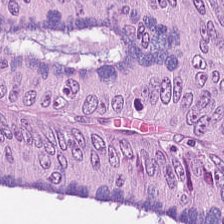H&E.
Tissue class: malignant epithelium.
